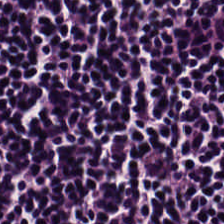H&E — lymphoid infiltrate.
